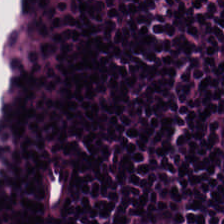224×224 pixel tile · hematoxylin and eosin. Predominantly lymphoid infiltrate.
